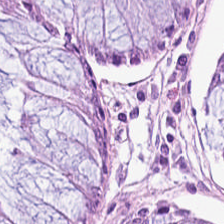Q: Identify the tissue.
A: The field shows non-neoplastic colon mucosa.
